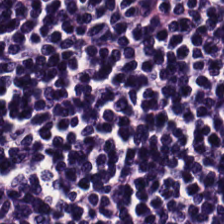H&E-stained tissue section.
Classification: lymphoid infiltrate.
